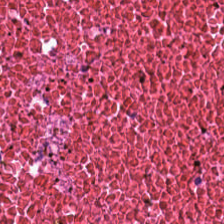H&E stain.
Q: What is the predominant tissue type?
A: Necrotic debris.
